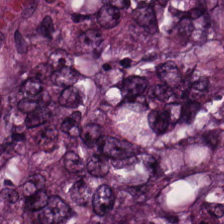Q: What tissue is shown?
A: Adenocarcinoma.
